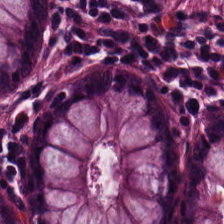FFPE. 0.5 µm/px. Hematoxylin-and-eosin stained section. {"tissue_type": "normal colon mucosa"}
